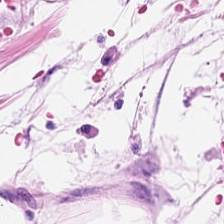H&E.
Showing adipose tissue.
